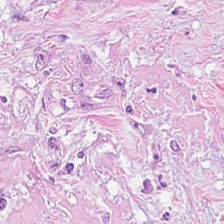Stain: H&E stain.
Predominant tissue: tumor stroma.
